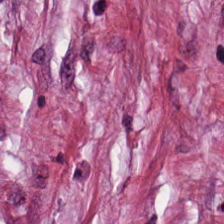20× equivalent magnification · 224×224 px tile · H&E stain — This patch shows desmoplastic stroma.
